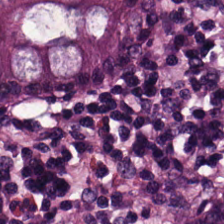H&E-stained tissue section. Classification: normal colonic mucosa.
